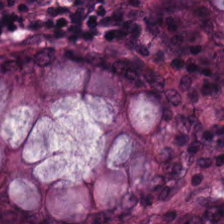Hematoxylin-and-eosin stained section — Normal colonic mucosa.
